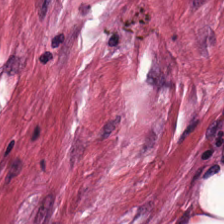H&E-stained tissue section; 224×224 pixel tile — Q: What type of tissue is this?
A: The field shows desmoplastic stroma.
